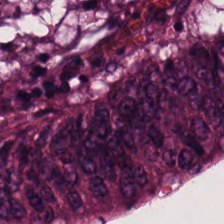20× equivalent magnification · H&E-stained tissue section — Impression → malignant epithelium.
